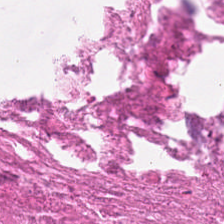Histology → cellular debris.
